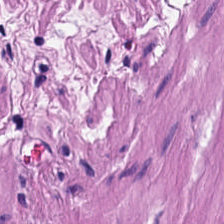H&E-stained tissue section. 0.5 µm/px.
Impression — smooth-muscle tissue.
